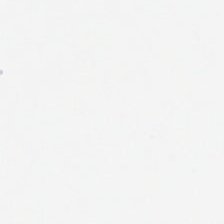H&E-stained tissue section. Q: Classify this patch.
A: It is empty background.
